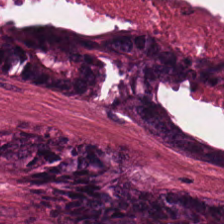H&E — The tissue here is colorectal adenocarcinoma epithelium.
